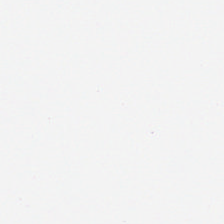H&E stain. 0.5 microns per pixel.
Empty field — background.
